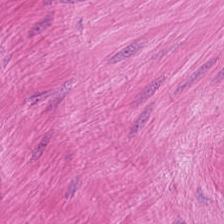Classification — smooth-muscle tissue.
